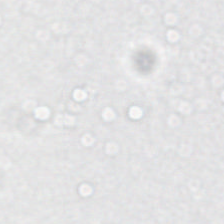Stain: hematoxylin and eosin.
Classification: empty background.
